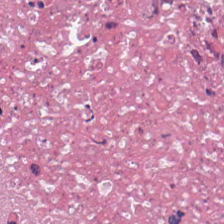Hematoxylin and eosin.
Classification — cellular debris.
